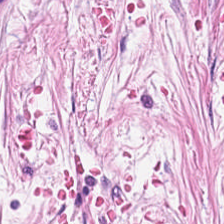224×224 pixel tile. Brightfield. Hematoxylin-and-eosin stained section — Q: What is the predominant tissue type?
A: This is desmoplastic stroma.
